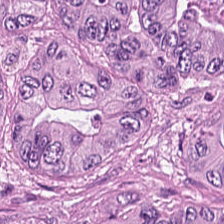H&E — Impression — tumor epithelium.
